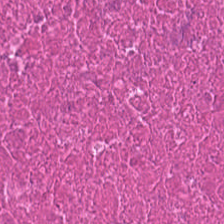Hematoxylin and eosin. 224×224 px tile — The predominant tissue is debris.
